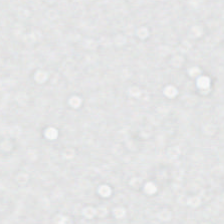224×224 px tile; FFPE tissue section; hematoxylin and eosin — Background.
